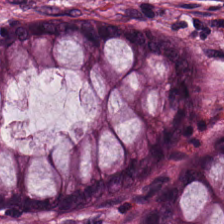The predominant tissue is non-neoplastic colon mucosa.
